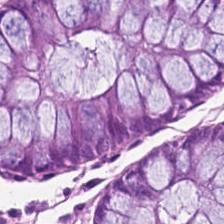Brightfield microscopy. H&E-stained tissue section. 0.5 µm per pixel.
Q: What type of tissue is this?
A: It is non-neoplastic colon mucosa.
